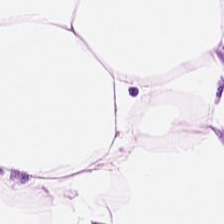Hematoxylin and eosin — Tissue type = adipocytes.
